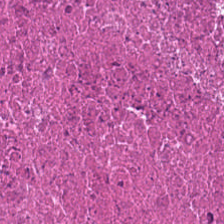H&E — debris.
